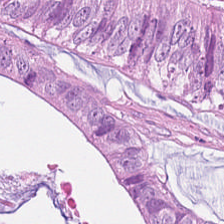Hematoxylin and eosin. FFPE tissue section.
Impression → colorectal adenocarcinoma epithelium.
